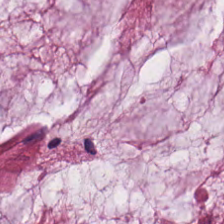H&E.
The tissue here is mucin.
